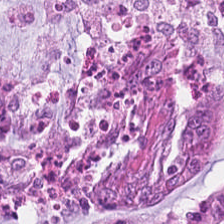H&E stain.
Predominantly colorectal adenocarcinoma epithelium.
